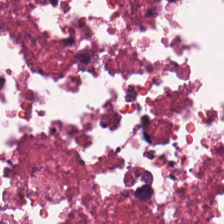Hematoxylin and eosin; 20× equivalent magnification. Tissue = cellular debris.
